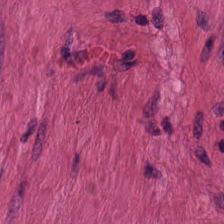Hematoxylin-and-eosin stained section · 0.5 microns per pixel · whole-slide-image patch — Predominantly smooth muscle.
